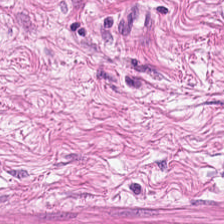20× equivalent magnification · formalin-fixed paraffin-embedded section · H&E-stained tissue section. The tissue here is smooth muscle.
